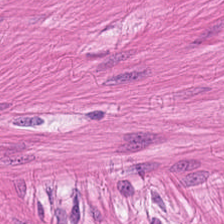Stain: hematoxylin-and-eosin stained section.
Tissue class: smooth muscle.
